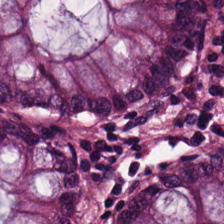H&E. This patch shows benign colonic mucosa.
